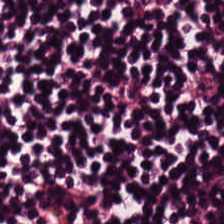H&E-stained tissue section. Predominantly lymphoid infiltrate.
